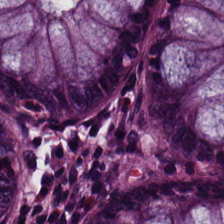H&E-stained tissue section; 224×224 pixel tile; 20× equivalent magnification — The tissue here is normal colon mucosa.
